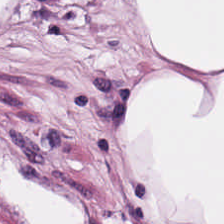H&E patch showing adipose.
